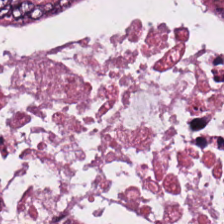Hematoxylin and eosin. The tissue is malignant epithelium.
